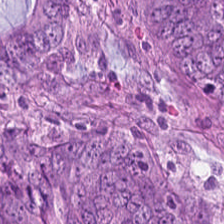H&E-stained section; the field shows malignant epithelium.
